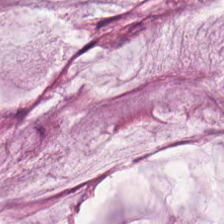Hematoxylin-and-eosin stained section.
The predominant tissue is extracellular mucin.
